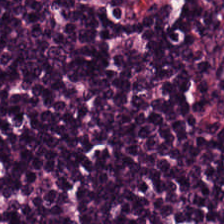H&E stain. This field is lymphocytes.
